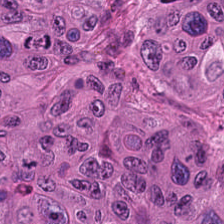20× equivalent magnification · hematoxylin-and-eosin stained section.
Q: What is the predominant tissue type?
A: Colorectal adenocarcinoma.
